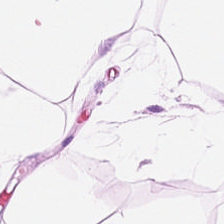Classification = fat tissue.
